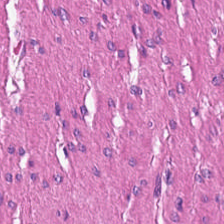Q: What is shown here?
A: Smooth muscle.
